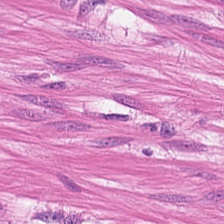Hematoxylin and eosin. 0.5 microns per pixel. Brightfield — Smooth-muscle tissue.
